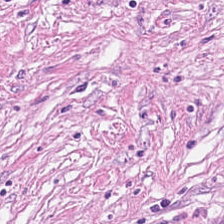Stain: hematoxylin and eosin.
Tissue: cancer-associated stroma.
